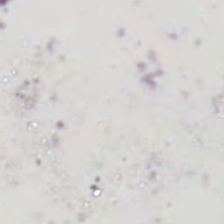FFPE. Whole-slide-image patch. H&E stain. Background — no tissue in this field.
